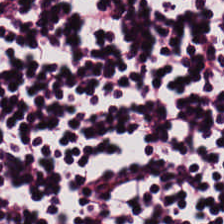H&E. This field is lymphoid infiltrate.
